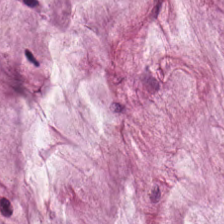224×224 px patch · hematoxylin-and-eosin stained section. Histology — mucus.
